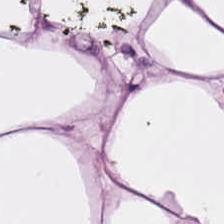Hematoxylin and eosin; 0.5 µm per pixel; brightfield.
The predominant tissue is adipocytes.
